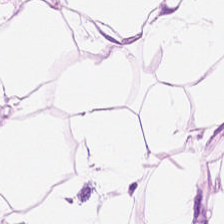20× equivalent magnification. H&E stain. This field is fat tissue.
